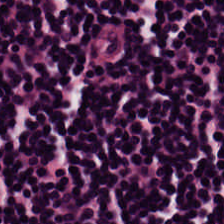Tissue type: lymphocytes.
